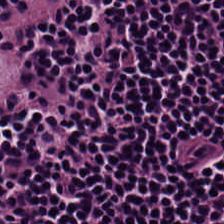Brightfield microscopy. 20× equivalent magnification. H&E-stained tissue section.
Tissue type: lymphoid infiltrate.
